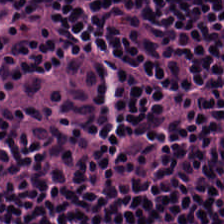H&E stain; brightfield; 20× equivalent magnification — Q: Identify the tissue.
A: It is lymphocyte aggregate.
